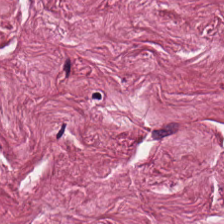H&E-stained tissue section. The predominant tissue is desmoplastic stroma.
